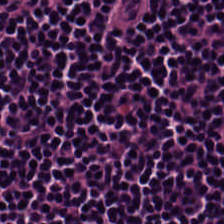H&E-stained tissue section. Lymphocytes.
